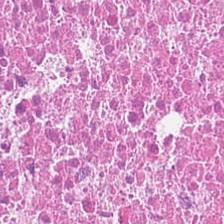H&E; 224×224 px patch.
Impression — cellular debris.
